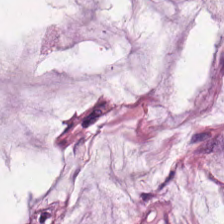H&E — {"tissue_type": "mucin"}
